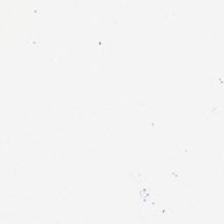0.5 µm per pixel · H&E stain · brightfield microscopy — Finding → background.
